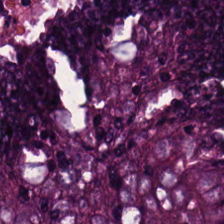H&E stain.
This patch shows colorectal adenocarcinoma.
